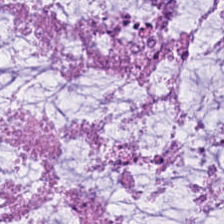Hematoxylin-and-eosin stained section — The predominant tissue is extracellular mucin.
